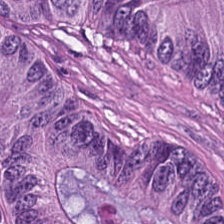Hematoxylin-and-eosin stained section.
Predominantly colorectal adenocarcinoma epithelium.
